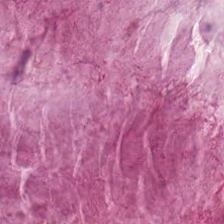The tissue class is extracellular mucin.
